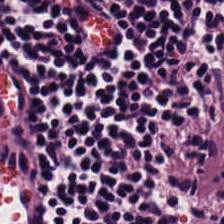Histology — lymphocyte aggregate.
